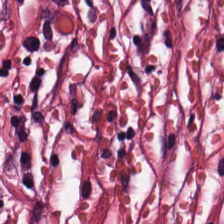WSI patch; 0.5 µm per pixel; hematoxylin and eosin — Showing cancer-associated stroma.
